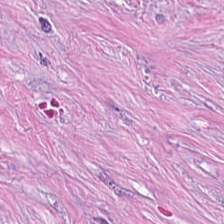Q: What is shown here?
A: The field shows cancer-associated stroma.
